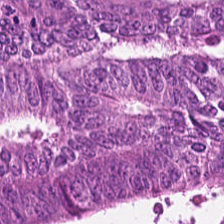Hematoxylin and eosin — Finding → adenocarcinoma.
